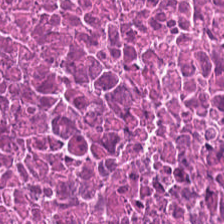Hematoxylin and eosin; formalin-fixed paraffin-embedded section — {"tissue_type": "cellular debris"}
